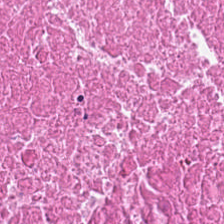H&E; formalin-fixed paraffin-embedded section.
Tissue — cellular debris.
